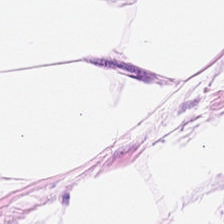224×224 px patch; H&E-stained tissue section.
Fat tissue.
